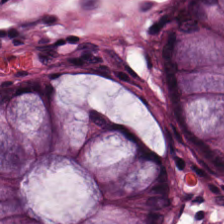224×224 pixel tile · hematoxylin and eosin.
Q: What is shown in this field?
A: This is normal colonic mucosa.
